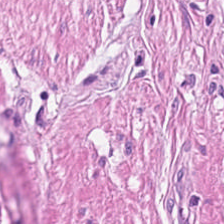Brightfield · hematoxylin and eosin · 224×224 px tile.
Predominantly smooth muscle.
